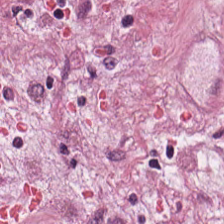Tissue type — desmoplastic stroma.
